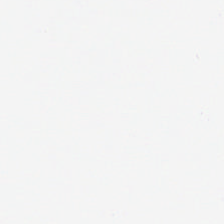Histology → empty background.
